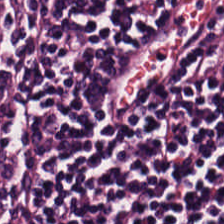Brightfield; H&E stain. The predominant tissue is lymphoid infiltrate.
